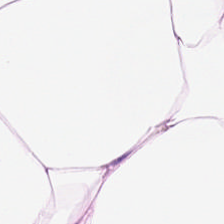H&E-stained tissue section — This field is fat tissue.
